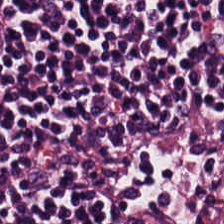Lymphocytic infiltrate.
